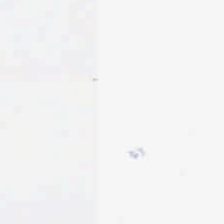Stain: hematoxylin and eosin.
Tile size: 224×224 pixel tile.
Content: no tissue.
